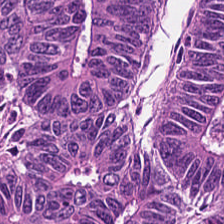Hematoxylin-and-eosin stained section — The tissue here is colorectal adenocarcinoma epithelium.
